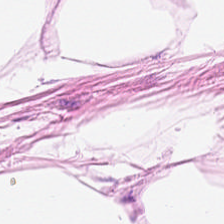Stain: H&E-stained tissue section.
Tissue: fat tissue.
